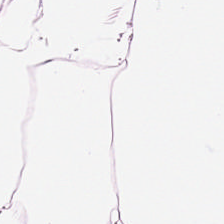Stain: H&E stain.
Acquisition: whole-slide-image patch.
Classification: fat tissue.
